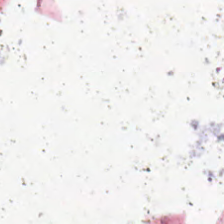Empty background.
